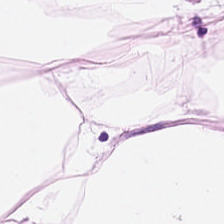Formalin-fixed paraffin-embedded section · 224×224 px tile · hematoxylin-and-eosin stained section — Adipose.
